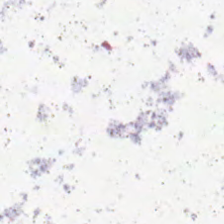Empty field — no tissue.
